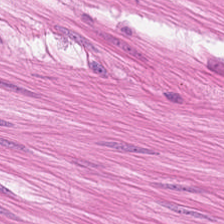Finding — smooth muscle.
